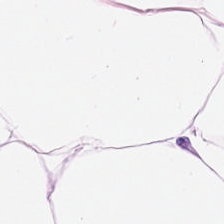The predominant tissue is fat tissue.
